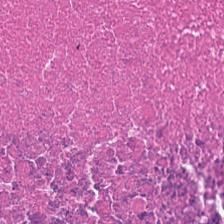Hematoxylin-and-eosin stained section. Tissue: debris.
